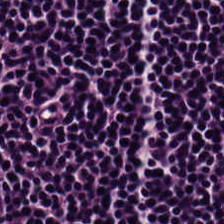FFPE. Whole-slide-image patch. H&E — Predominant tissue — lymphocytes.
